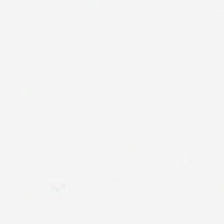Hematoxylin-and-eosin stained section. Q: Classify this patch.
A: Background.
